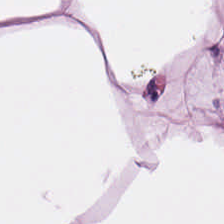H&E stain.
Impression → adipocytes.
